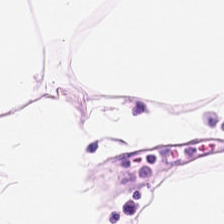H&E — Q: What is the predominant tissue type?
A: The field shows fat tissue.
